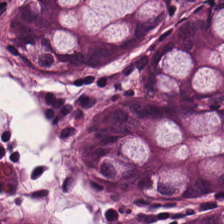FFPE · H&E-stained tissue section. The tissue class is normal colon mucosa.
